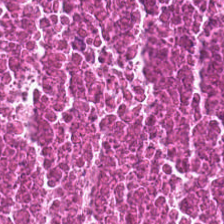Hematoxylin and eosin.
The tissue type is debris.
